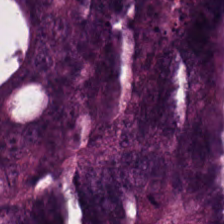0.5 µm per pixel. 224×224 pixel tile. Hematoxylin-and-eosin stained section — {"tissue_type": "adenocarcinoma"}
